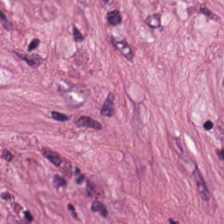Brightfield; H&E-stained tissue section; formalin-fixed paraffin-embedded section.
The tissue here is tumor-associated stroma.
